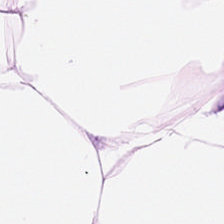H&E-stained tissue section — Predominantly adipose tissue.
